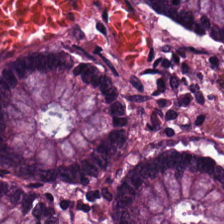H&E — Histology — benign colonic mucosa.
